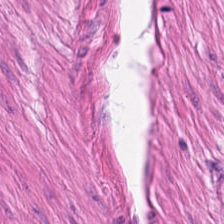{"tissue_type": "smooth muscle"}
